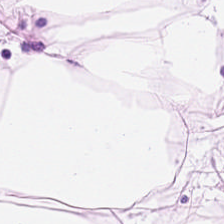H&E-stained tissue section · brightfield microscopy — The classification is adipose tissue.
